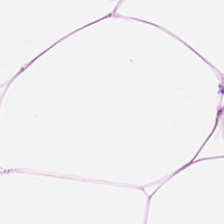0.5 microns per pixel; hematoxylin-and-eosin stained section.
Adipose tissue.
